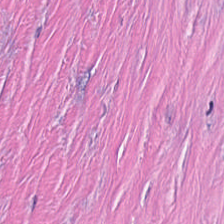Impression — tumor stroma.
